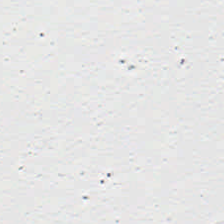{"content": "background (no tissue)"}
